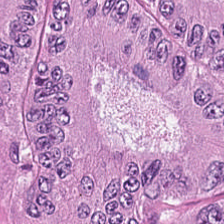H&E stain. The tissue class is colorectal adenocarcinoma.
